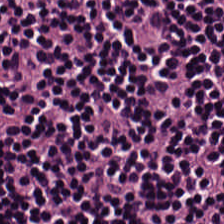Hematoxylin-and-eosin stained section. Tissue type = lymphoid infiltrate.
